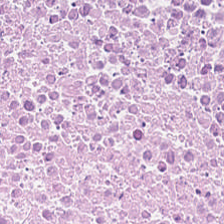Hematoxylin-and-eosin stained section · 224×224 pixel tile. This patch shows debris.
